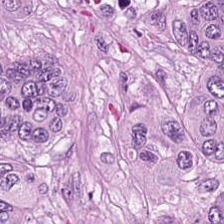{"tissue_type": "colorectal adenocarcinoma epithelium"}
